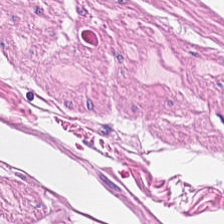20× equivalent magnification; hematoxylin and eosin; brightfield. Q: What is shown in this field?
A: It is smooth muscle.
